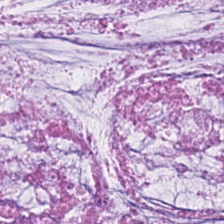H&E stain — Extracellular mucin.
